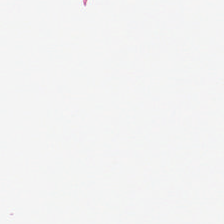No tissue present; background only.
